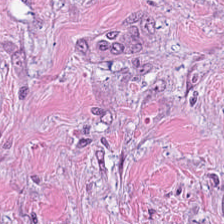Q: Classify this patch.
A: This is tumor-associated stroma.
